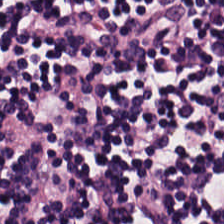Q: Classify this patch.
A: This is lymphocytic infiltrate.
